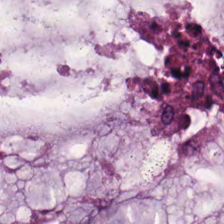FFPE tissue section. 224×224 px patch. Hematoxylin and eosin.
Showing mucin.
